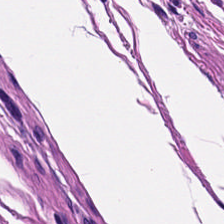Stain: H&E.
Tissue type: smooth muscle.
